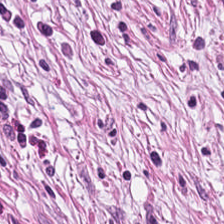H&E.
Desmoplastic stroma.
